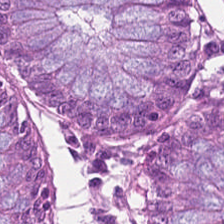Hematoxylin-and-eosin stained section.
Normal colonic mucosa.
